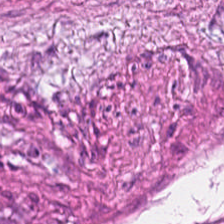Classification: cancer-associated stroma.
